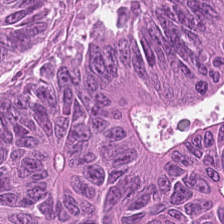224×224 pixel tile · hematoxylin and eosin.
Showing colorectal adenocarcinoma.
